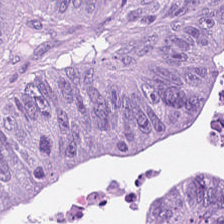H&E stain; 224×224 px tile.
Colorectal adenocarcinoma epithelium.
